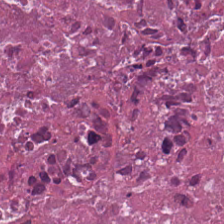The predominant tissue is cellular debris.
